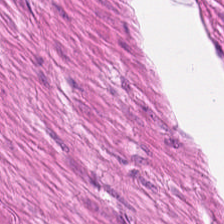20× equivalent magnification. Formalin-fixed paraffin-embedded section. H&E-stained tissue section. This field is smooth-muscle tissue.
